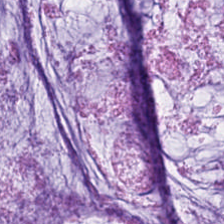H&E-stained tissue section. Showing mucin.
